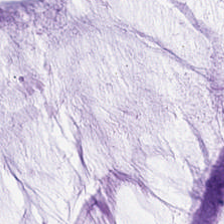The tissue type is mucus.
